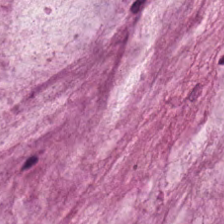H&E-stained tissue section · 20× equivalent magnification.
Q: What tissue is shown?
A: The field shows extracellular mucin.
